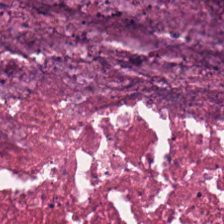Q: What tissue is shown?
A: This is debris.
